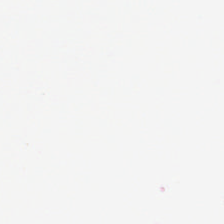FFPE. H&E stain. 0.5 µm/px. Background.
